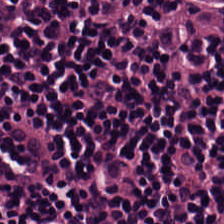H&E-stained tissue section showing lymphocyte aggregate.
